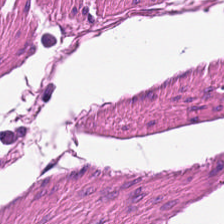H&E — Q: What tissue type is shown here?
A: The field shows smooth-muscle tissue.
